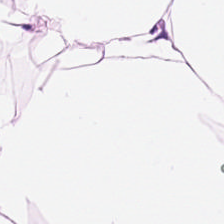Hematoxylin and eosin; 224×224 px tile. Showing adipocytes.
